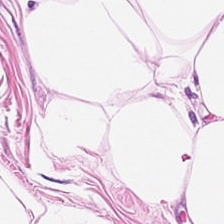H&E stain · 0.5 µm per pixel — The predominant tissue is fat tissue.
